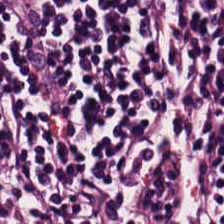Impression → lymphocyte aggregate.
